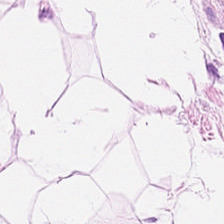Q: What tissue type is shown here?
A: The field shows adipose tissue.
